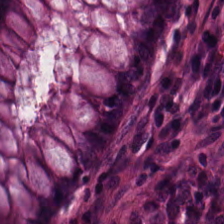Hematoxylin and eosin.
Classification = normal colon mucosa.
